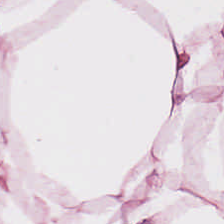H&E · whole-slide-image patch · FFPE tissue section. The tissue is fat tissue.
